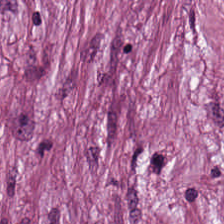Stain: H&E stain.
Tissue type: tumor stroma.
